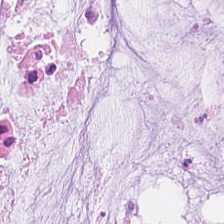The classification is extracellular mucin.
